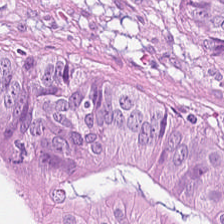Hematoxylin and eosin — Q: What is the predominant tissue type?
A: This is colorectal adenocarcinoma epithelium.
